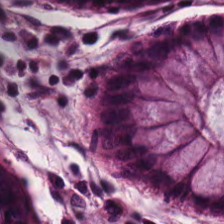Predominantly normal colon mucosa.
